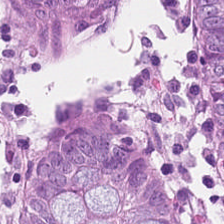Stain: H&E-stained tissue section.
Tissue class: non-neoplastic colon mucosa.
